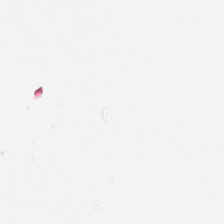{"content": "background"}
